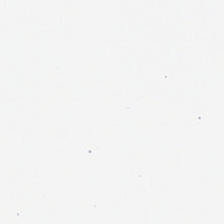Hematoxylin-and-eosin stained section · 224×224 px patch.
The field content is empty background.
